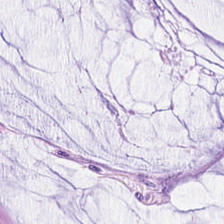H&E-stained tissue section — The classification is mucin.
